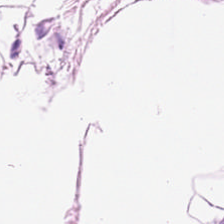H&E-stained tissue section.
Tissue — adipose.
